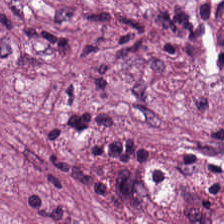Stain: H&E.
Classification: cancer-associated stroma.
